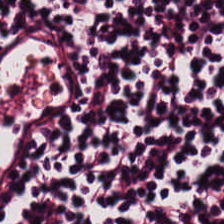Hematoxylin-and-eosin stained section — {"tissue_type": "lymphocyte aggregate"}
